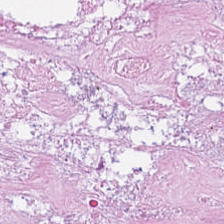H&E stain; 0.5 microns per pixel; formalin-fixed paraffin-embedded section — {"tissue_type": "cellular debris"}
